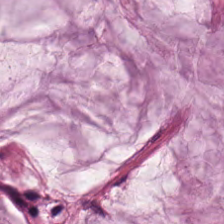224×224 pixel tile; H&E stain — The predominant tissue is extracellular mucin.
